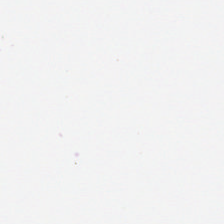Hematoxylin-and-eosin stained section. Q: What is shown in this field?
A: It is background (no tissue).
